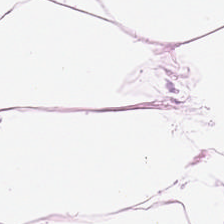Predominantly fat tissue.
